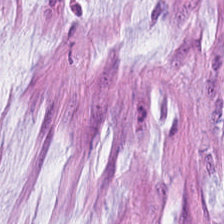H&E · 224×224 pixel tile.
Tissue: mucus.
